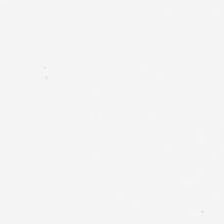Hematoxylin-and-eosin stained section. {"content": "empty background"}
